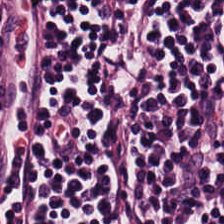224×224 px tile · hematoxylin and eosin.
This field is lymphocyte aggregate.
